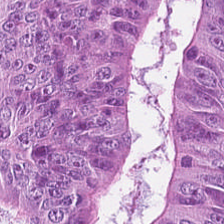H&E-stained tissue section. 224×224 px patch.
Q: Identify the tissue.
A: This is tumor epithelium.
